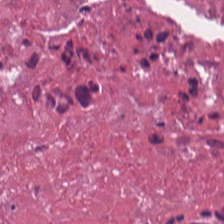Brightfield; hematoxylin and eosin; 224×224 px patch.
Predominant tissue = debris.
